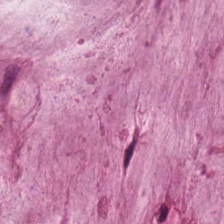Whole-slide-image patch · H&E stain.
The predominant tissue is mucin.
